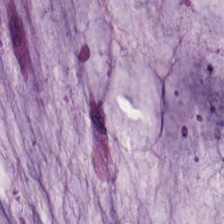H&E.
Q: What is the predominant tissue type?
A: Mucus.
